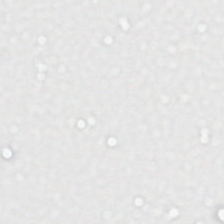Stain: H&E-stained tissue section.
Field content: background.
